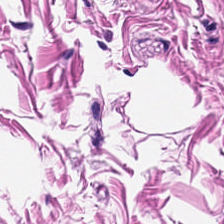Stain: H&E-stained tissue section.
Preparation: FFPE tissue section.
Tissue: smooth muscle.
